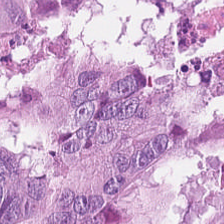Stain: hematoxylin and eosin.
Tissue type: colorectal adenocarcinoma.
